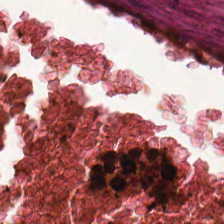Tissue class = cellular debris.
